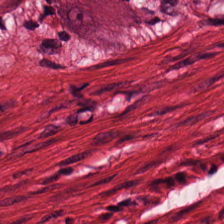224×224 pixel tile; H&E-stained tissue section. The predominant tissue is muscularis.
